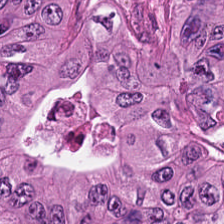Stain: H&E.
Tissue class: adenocarcinoma.
